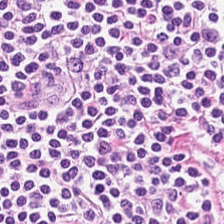The tissue here is lymphocyte aggregate.
